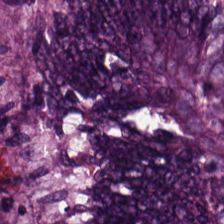H&E — Q: What type of tissue is this?
A: Colorectal adenocarcinoma.
